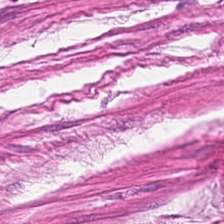Brightfield microscopy · H&E-stained tissue section. Histology — smooth-muscle tissue.
